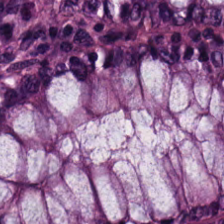Stain: hematoxylin-and-eosin stained section.
Tissue class: non-neoplastic colon mucosa.
